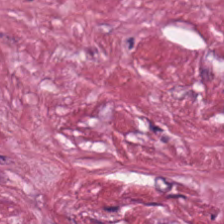H&E stain.
The tissue here is tumor-associated stroma.
